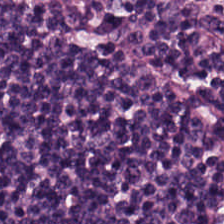H&E-stained tissue section. Formalin-fixed paraffin-embedded section. Tissue class = lymphocyte aggregate.
